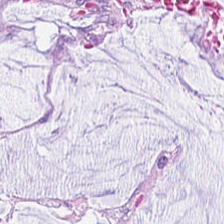Tissue type = mucin.
